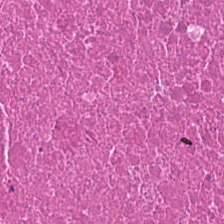Predominant tissue = cellular debris.
